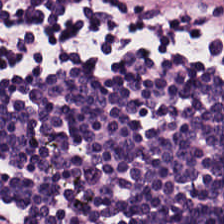Whole-slide-image patch; hematoxylin and eosin. Finding → lymphoid infiltrate.
